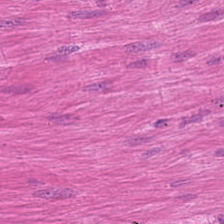H&E. Formalin-fixed paraffin-embedded section. Q: Classify this patch.
A: This is smooth muscle.
